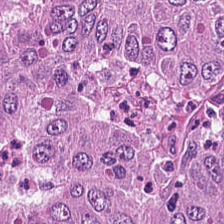Hematoxylin-and-eosin section: colorectal adenocarcinoma epithelium.
